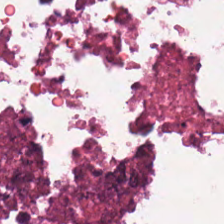Q: What is shown in this field?
A: Cellular debris.
